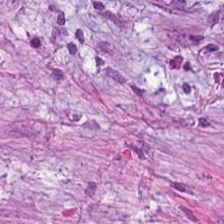0.5 microns per pixel · 224×224 px tile · H&E stain.
The classification is cancer-associated stroma.
